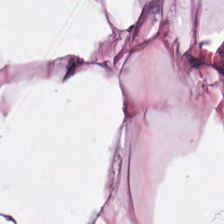224×224 px patch · hematoxylin-and-eosin stained section — This field is adipose.
